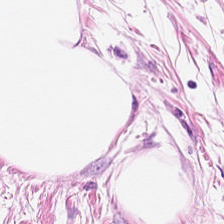Hematoxylin and eosin.
This field is adipose tissue.
